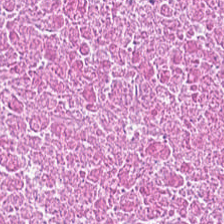H&E-stained tissue section. Showing debris.
